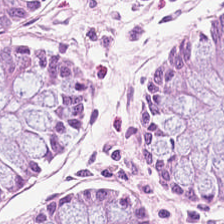Brightfield; H&E stain — Impression → benign colonic mucosa.
